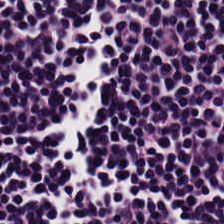Hematoxylin and eosin. 0.5 µm/px. WSI patch — The tissue here is lymphocyte aggregate.
